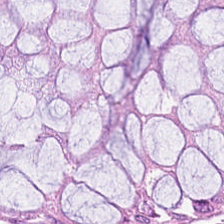224×224 pixel tile. Hematoxylin and eosin. Brightfield microscopy.
Predominant tissue: benign colonic mucosa.
